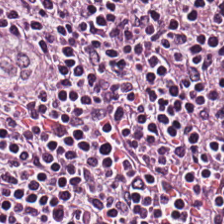Stain: H&E-stained tissue section.
Tile size: 224×224 px tile.
Tissue class: lymphocytic infiltrate.
